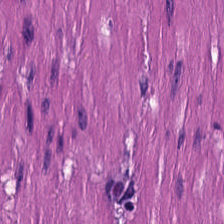Smooth-muscle tissue.
